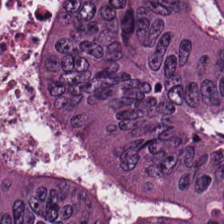Impression — colorectal adenocarcinoma epithelium.
